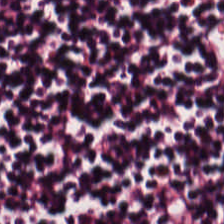Whole-slide-image patch. FFPE. Hematoxylin-and-eosin stained section — Finding — lymphocytes.
